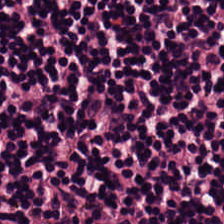Stain: H&E-stained tissue section.
Acquisition: whole-slide-image patch.
Tissue type: lymphocytic infiltrate.
